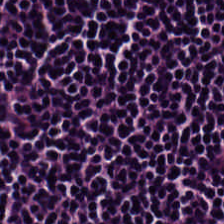Showing lymphoid infiltrate.
